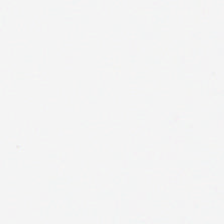Whole-slide-image patch; H&E stain — Empty field — empty background.
